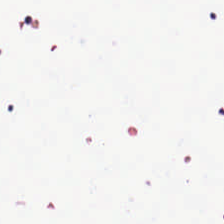Classification = empty background.
